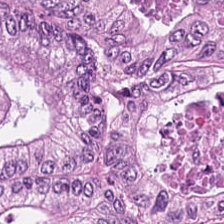H&E stain.
Q: What tissue is shown?
A: This is colorectal adenocarcinoma.
